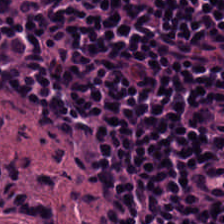H&E stain; 0.5 µm/px. Predominant tissue = lymphocytic infiltrate.
